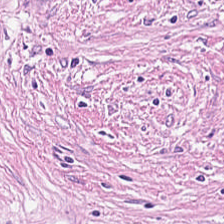Hematoxylin-and-eosin stained section. Q: What does this patch show?
A: It is tumor-associated stroma.
